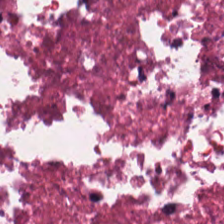H&E.
Predominantly cellular debris.
